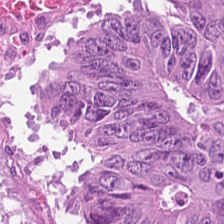H&E stain · 20× equivalent magnification. The tissue class is colorectal adenocarcinoma epithelium.
